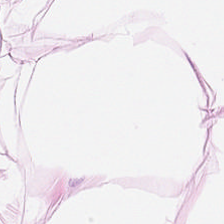H&E.
This field is fat tissue.
